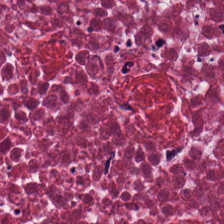Finding — debris.
